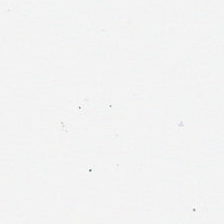No tissue present; background only.
